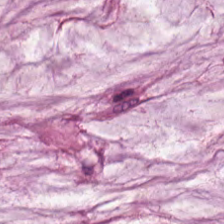Hematoxylin-and-eosin stained section — The tissue class is extracellular mucin.
